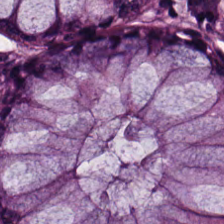H&E stain — Q: What does this patch show?
A: The field shows normal colon mucosa.
